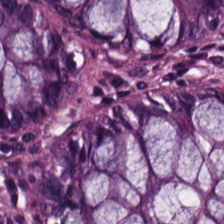H&E.
The predominant tissue is normal colonic mucosa.
